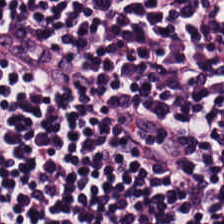Brightfield microscopy; formalin-fixed paraffin-embedded section; hematoxylin-and-eosin stained section. Predominantly lymphocytes.
